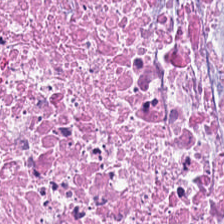Necrotic debris.
